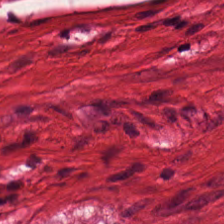Hematoxylin and eosin. Finding — muscularis.
